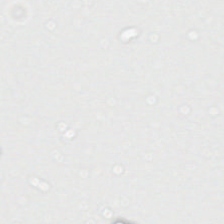Hematoxylin and eosin; 224×224 px tile.
Impression → empty background.
